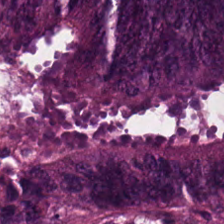FFPE · hematoxylin and eosin. Q: What is shown in this field?
A: This is tumor epithelium.
